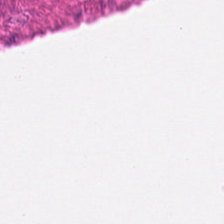0.5 µm per pixel · hematoxylin and eosin. Showing smooth-muscle tissue.
